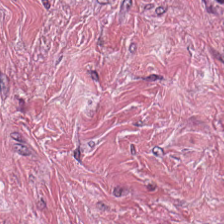224×224 pixel tile. H&E-stained tissue section. Brightfield — Cancer-associated stroma.
